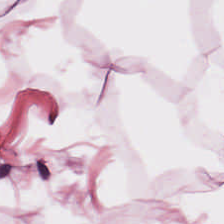H&E.
The tissue here is adipocytes.
